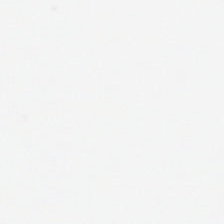Stain: hematoxylin and eosin.
Field content: background (no tissue).
